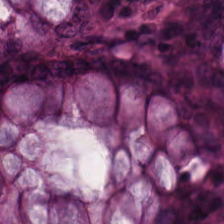Classification — normal colon mucosa.
